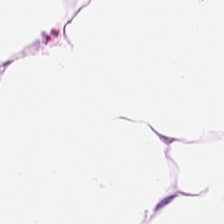Predominantly fat tissue.
